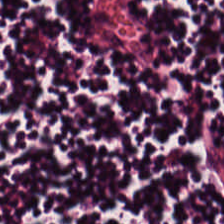Formalin-fixed paraffin-embedded section; 0.5 microns per pixel; H&E — Lymphocyte aggregate.
